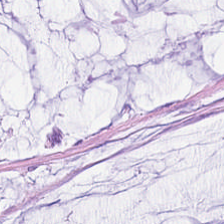0.5 microns per pixel. Hematoxylin and eosin. Whole-slide-image patch. Tissue = extracellular mucin.
